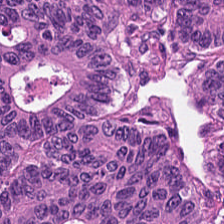Stain: H&E-stained tissue section.
Tissue: tumor epithelium.
